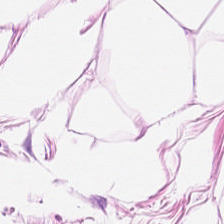H&E stain. Adipocytes.
